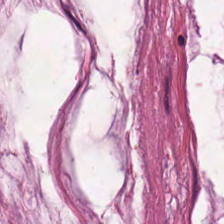0.5 µm per pixel · hematoxylin and eosin — Q: What type of tissue is this?
A: It is extracellular mucin.
